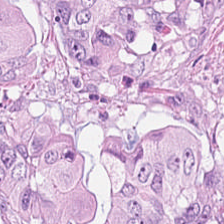FFPE · hematoxylin-and-eosin stained section. This patch shows colorectal adenocarcinoma epithelium.
